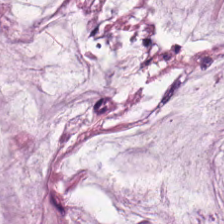Finding → mucin.
